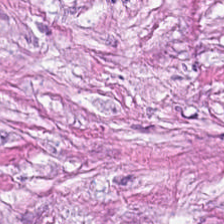Stain: H&E stain.
Tile size: 224×224 px tile.
Acquisition: whole-slide-image patch.
Predominant tissue: cancer-associated stroma.
